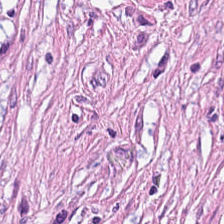Stain: hematoxylin-and-eosin stained section.
Resolution: 20× equivalent magnification.
Tissue class: tumor stroma.
